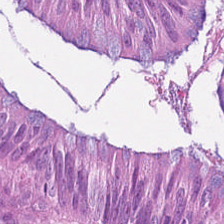0.5 µm/px · H&E · brightfield microscopy. {"tissue_type": "colorectal adenocarcinoma"}
